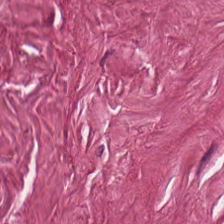Stain: H&E.
Acquisition: brightfield microscopy.
Tissue type: tumor-associated stroma.
